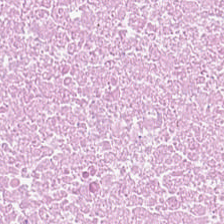Stain: H&E stain.
Tissue type: debris.
